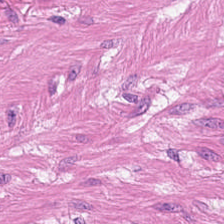H&E stain — Tissue type = smooth muscle.
